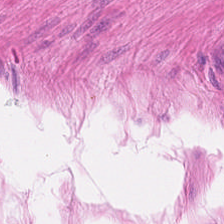H&E stain.
This patch shows smooth-muscle tissue.
